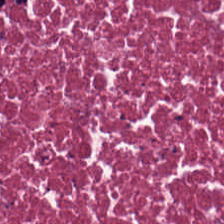H&E-stained tissue section.
The classification is necrotic debris.
